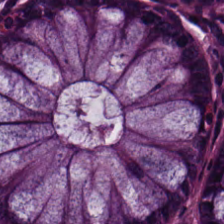{"tissue_type": "normal colonic mucosa"}
